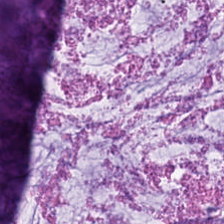H&E stain — Histology → mucus.
